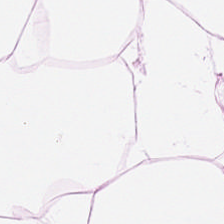Stain: H&E stain.
Classification: adipocytes.
